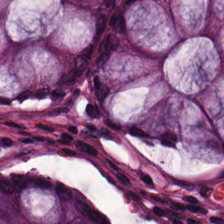Stain: H&E.
Acquisition: brightfield microscopy.
Tile size: 224×224 px patch.
Tissue class: normal colon mucosa.
